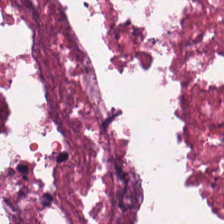Classification — necrotic debris.
